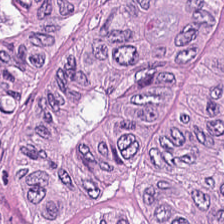H&E-stained tissue section — Histology — colorectal adenocarcinoma epithelium.
